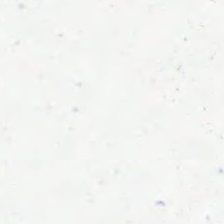Hematoxylin and eosin.
No tissue.
